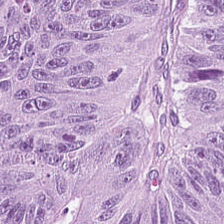Hematoxylin-and-eosin stained section · 0.5 microns per pixel. Q: What tissue is shown?
A: The field shows tumor epithelium.
